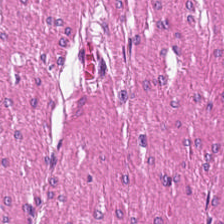H&E stain. Smooth muscle.
